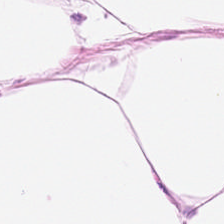Stain: H&E-stained tissue section.
Tissue class: adipocytes.
